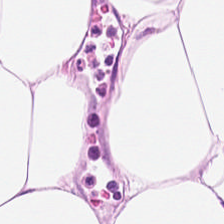Stain: hematoxylin and eosin.
Tile size: 224×224 px tile.
Classification: adipose tissue.
